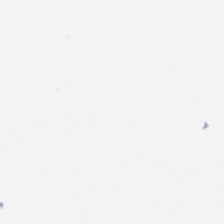Hematoxylin and eosin; 0.5 µm/px; formalin-fixed paraffin-embedded section. Background (no tissue).
